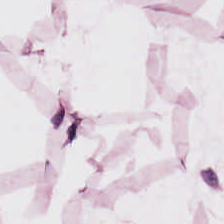H&E stain. Whole-slide-image patch. 0.5 microns per pixel. This patch shows adipose.
